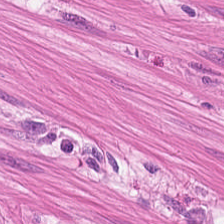224×224 px patch; H&E-stained tissue section. Finding — smooth muscle.
